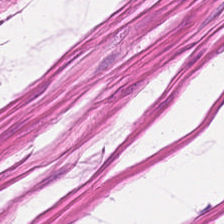H&E; 224×224 px tile; formalin-fixed paraffin-embedded section.
The predominant tissue is smooth muscle.
